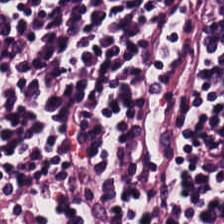Tissue — lymphocytes.
